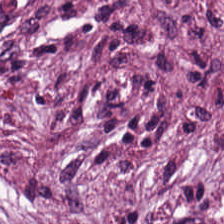H&E · whole-slide-image patch. Tissue class: desmoplastic stroma.
